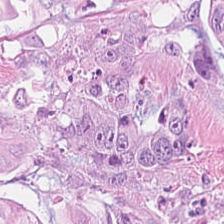Q: What is shown here?
A: This is malignant epithelium.
